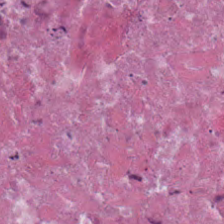Formalin-fixed paraffin-embedded section · H&E-stained tissue section — Tissue: necrotic debris.
